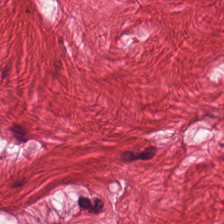Stain: H&E-stained tissue section.
Acquisition: WSI patch.
Preparation: FFPE.
Tissue: smooth muscle.
